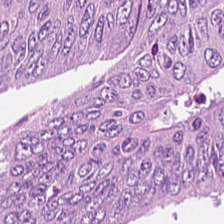Stain: H&E stain.
Tissue: colorectal adenocarcinoma epithelium.
